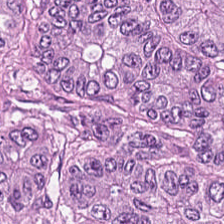H&E-stained tissue section · 224×224 pixel tile.
The predominant tissue is colorectal adenocarcinoma.
